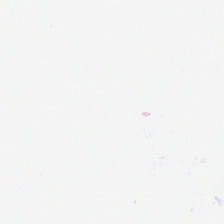0.5 microns per pixel; 224×224 pixel tile; H&E stain — {"content": "background (no tissue)"}
